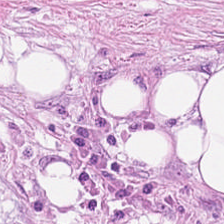FFPE. Hematoxylin and eosin.
Predominantly tumor stroma.
